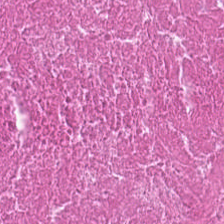0.5 µm per pixel. Hematoxylin and eosin.
Necrotic debris.
